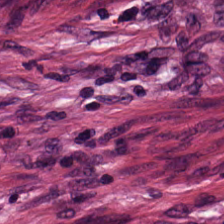{"tissue_type": "tumor-associated stroma"}
